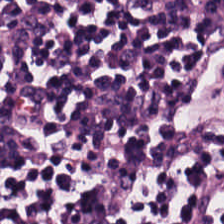H&E-stained tissue section.
This field is lymphocytes.
